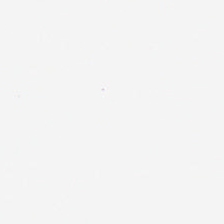Hematoxylin-and-eosin stained section — Content — background.
